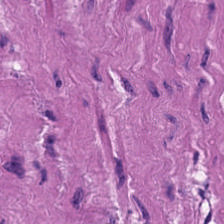H&E-stained tissue section — Impression → muscularis.
